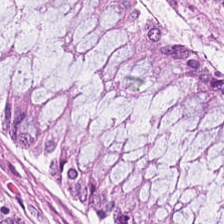Hematoxylin and eosin; brightfield — This field is normal colon mucosa.
